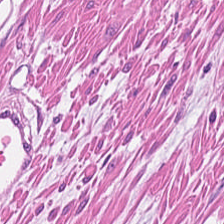224×224 pixel tile · H&E stain — This patch shows muscularis.
